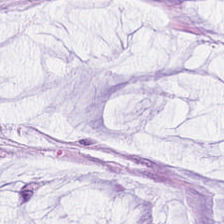The tissue class is mucus.
